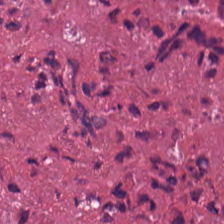Hematoxylin-and-eosin stained section · brightfield. Debris.
